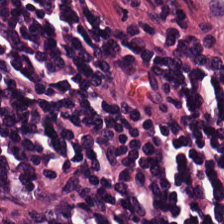Hematoxylin and eosin — Finding — lymphocytic infiltrate.
